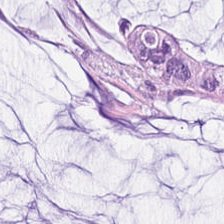Hematoxylin-and-eosin stained section; 224×224 px patch. Tissue — mucus.
